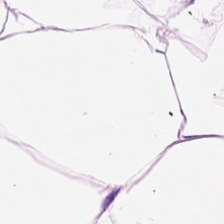Tissue = adipose tissue.
